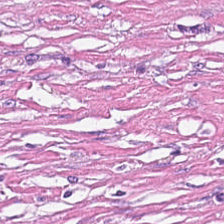0.5 µm per pixel; H&E stain — {"tissue_type": "desmoplastic stroma"}
